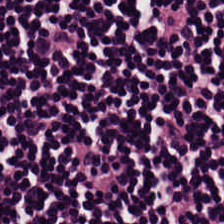Stain: H&E stain.
Tissue class: lymphocyte aggregate.
